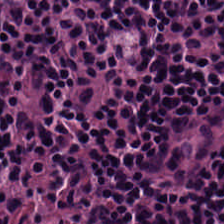H&E · 224×224 px tile.
Lymphoid infiltrate.
